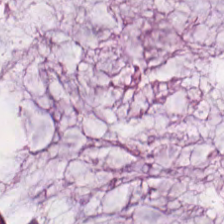224×224 pixel tile; WSI patch; H&E stain.
Histology — extracellular mucin.
